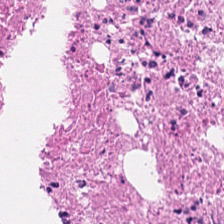Hematoxylin and eosin.
The predominant tissue is necrotic debris.
